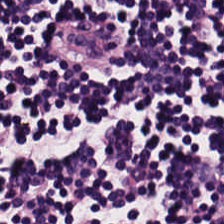Stain: hematoxylin-and-eosin stained section.
Tissue: lymphocytic infiltrate.
